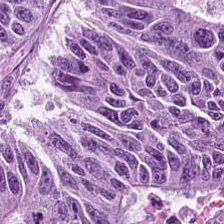Formalin-fixed paraffin-embedded section; H&E stain — This field is colorectal adenocarcinoma epithelium.
